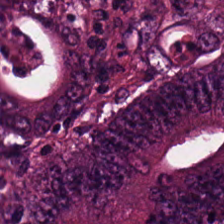224×224 px patch · WSI patch · hematoxylin and eosin.
Predominantly tumor epithelium.
